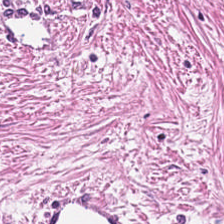H&E stain. 224×224 pixel tile. Brightfield.
Tissue type = tumor stroma.
